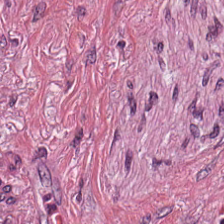Stain: hematoxylin and eosin.
Predominant tissue: cancer-associated stroma.
